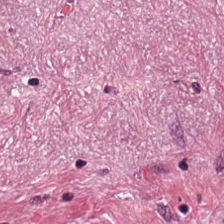WSI patch; 0.5 µm per pixel; H&E. Q: Identify the tissue.
A: Tumor stroma.
